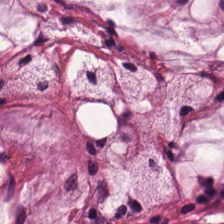H&E-stained section; the field shows mucin.
